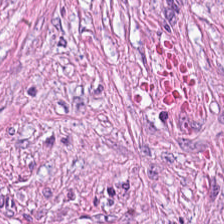H&E stain; 0.5 µm per pixel; 224×224 px tile — Classification = desmoplastic stroma.
